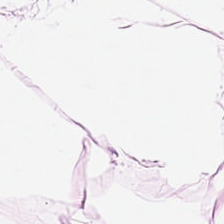H&E.
Q: What is shown here?
A: The field shows adipose.
